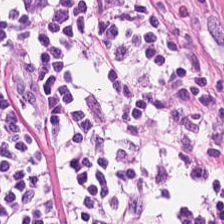Stain: H&E.
Acquisition: brightfield microscopy.
Tissue type: smooth-muscle tissue.
